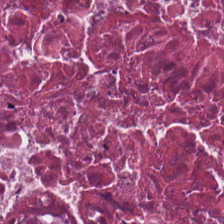Q: What does this patch show?
A: This is cellular debris.
